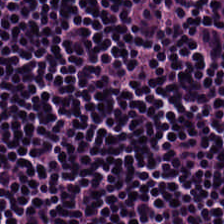0.5 µm/px; brightfield microscopy; H&E stain — Q: What tissue is shown?
A: It is lymphocyte aggregate.
